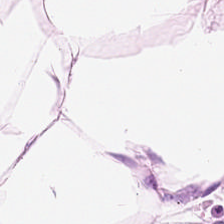Stain: H&E-stained tissue section.
Tile size: 224×224 px patch.
Acquisition: WSI patch.
Tissue class: adipocytes.
